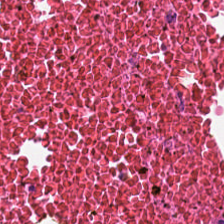H&E; 224×224 px tile.
This patch shows cellular debris.
